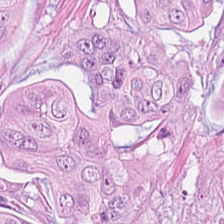224×224 px patch. H&E. 0.5 microns per pixel. Q: What tissue type is shown here?
A: It is colorectal adenocarcinoma epithelium.
